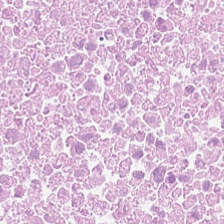This patch shows cellular debris.
